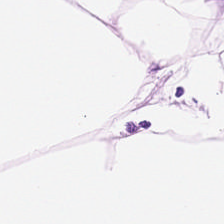Stain: H&E stain.
Resolution: 20× equivalent magnification.
Tissue: adipose.
